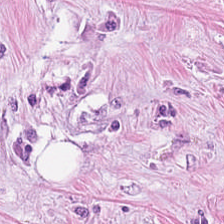Stain: H&E stain.
Resolution: 20× equivalent magnification.
Predominant tissue: tumor-associated stroma.
